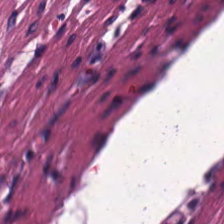H&E.
The predominant tissue is muscularis.
